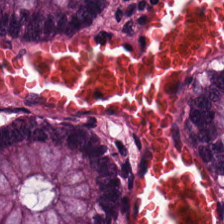Hematoxylin-and-eosin stained section. FFPE tissue section. This field is normal colonic mucosa.
